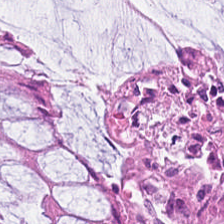H&E-stained tissue section. 0.5 µm/px. 224×224 px patch.
This patch shows non-neoplastic colon mucosa.
